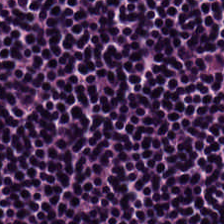Q: What type of tissue is this?
A: It is lymphocytic infiltrate.
